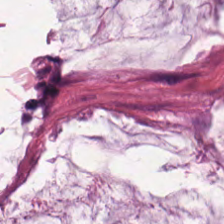Stain: H&E-stained tissue section.
Acquisition: WSI patch.
Tissue: mucin.
